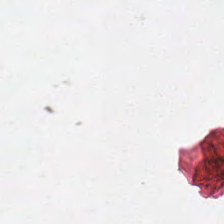224×224 px patch. 20× equivalent magnification. Hematoxylin and eosin — Q: What is shown in this field?
A: Background (no tissue).
